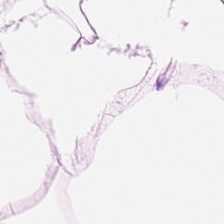224×224 px patch. H&E-stained tissue section — Impression → adipocytes.
